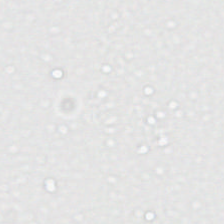Stain: hematoxylin-and-eosin stained section.
Classification: empty background.
